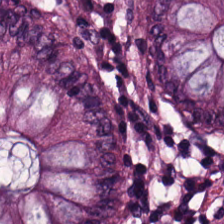Hematoxylin-and-eosin section: normal colonic mucosa.
